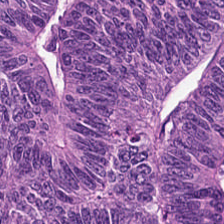Hematoxylin and eosin — The tissue here is adenocarcinoma.
